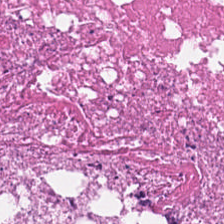Hematoxylin-and-eosin stained section. This field is necrotic debris.
